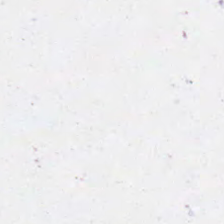Whole-slide-image patch; H&E stain. Content: background.
